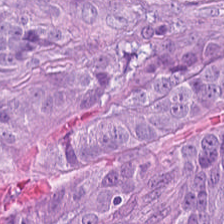H&E stain.
Q: What is shown here?
A: This is colorectal adenocarcinoma epithelium.
